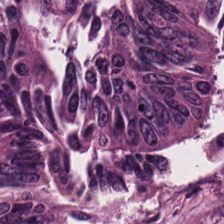Histology — malignant epithelium.
